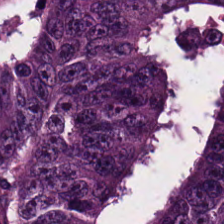Tissue type — colorectal adenocarcinoma.
